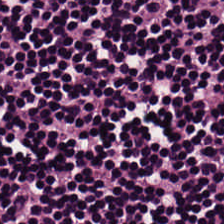Q: Classify this patch.
A: The field shows lymphocytes.
